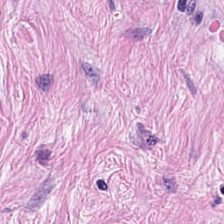H&E · formalin-fixed paraffin-embedded section.
This field is tumor stroma.
